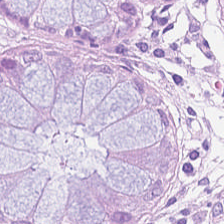H&E stain. Q: What type of tissue is this?
A: It is normal colon mucosa.
